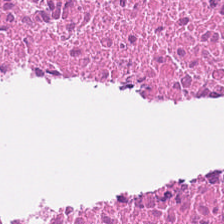0.5 microns per pixel. H&E-stained tissue section. 224×224 px patch. Q: What tissue is shown?
A: Debris.
